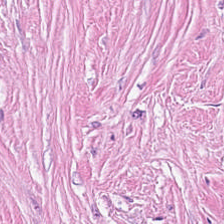Q: What does this patch show?
A: It is desmoplastic stroma.
